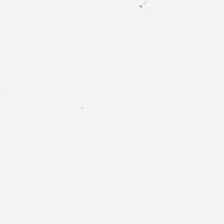Background (no tissue).
